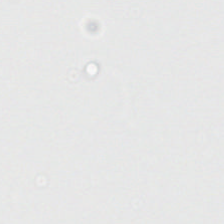0.5 microns per pixel. H&E-stained tissue section — Q: What is shown here?
A: This is background (no tissue).
